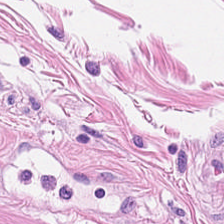Hematoxylin and eosin · 0.5 µm/px — Muscularis.
